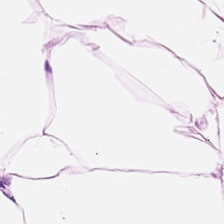Q: What tissue is shown?
A: The field shows adipocytes.
